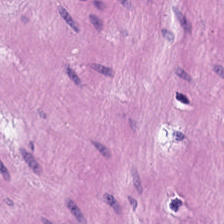Hematoxylin-and-eosin stained section.
Histology — smooth-muscle tissue.
